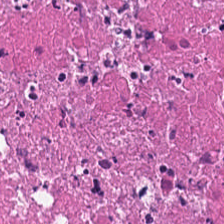Stain: hematoxylin and eosin.
Acquisition: WSI patch.
Predominant tissue: debris.
